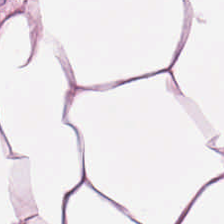H&E.
This field is adipocytes.
